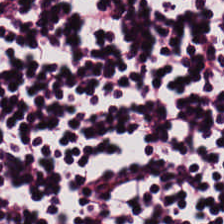H&E · 20× equivalent magnification · brightfield microscopy — This field is lymphocytic infiltrate.
